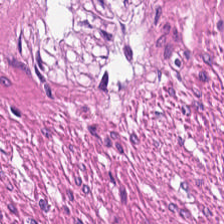Finding — smooth muscle.
